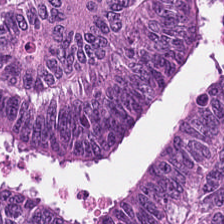Brightfield. 0.5 microns per pixel. Hematoxylin-and-eosin stained section — Tissue type: adenocarcinoma.
